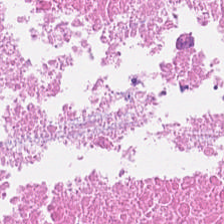H&E — The predominant tissue is necrotic debris.
